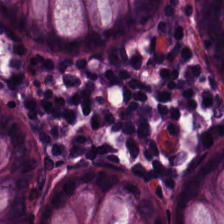Predominant tissue: non-neoplastic colon mucosa.
